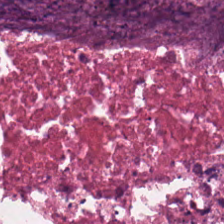20× equivalent magnification; hematoxylin and eosin; brightfield. Histology → necrotic debris.
